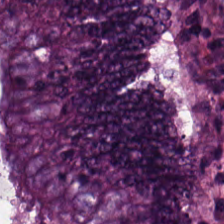H&E-stained tissue section — Showing colorectal adenocarcinoma epithelium.
